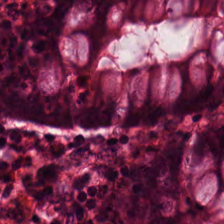The tissue here is normal colonic mucosa.
